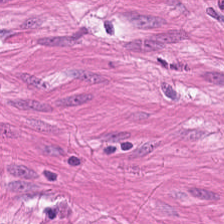H&E-stained tissue section.
This field is smooth muscle.
